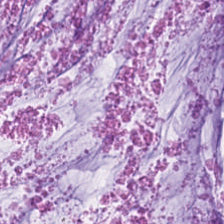224×224 px tile. H&E. The tissue class is mucus.
